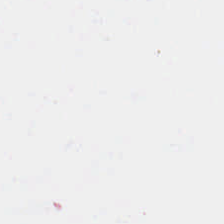Hematoxylin and eosin. 224×224 px tile.
This patch shows background.
